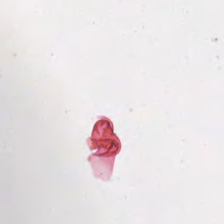224×224 px patch · H&E stain. Finding → background.
